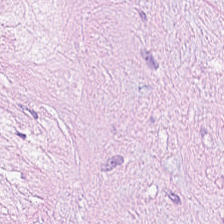H&E stain — Q: What tissue is shown?
A: This is desmoplastic stroma.
